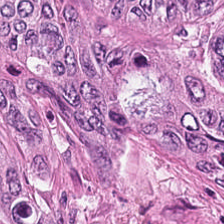Hematoxylin and eosin — {"tissue_type": "colorectal adenocarcinoma epithelium"}
